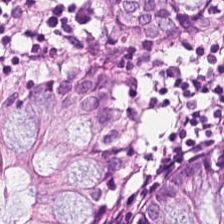224×224 px patch. Hematoxylin-and-eosin stained section. 0.5 microns per pixel. {"tissue_type": "non-neoplastic colon mucosa"}
